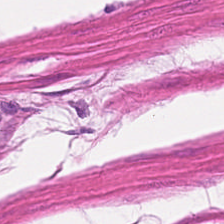H&E stain — Showing smooth-muscle tissue.
